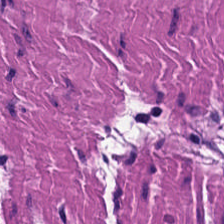Hematoxylin and eosin. 20× equivalent magnification. Showing smooth-muscle tissue.
